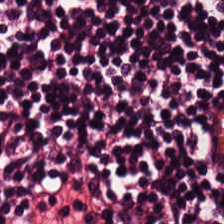Hematoxylin-and-eosin stained section — The predominant tissue is lymphocytes.
